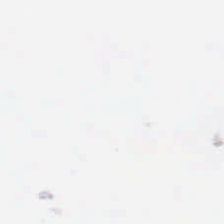H&E-stained tissue section. FFPE tissue section — Field content: empty background.
